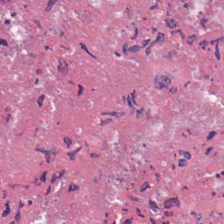Hematoxylin and eosin. Finding — necrotic debris.
